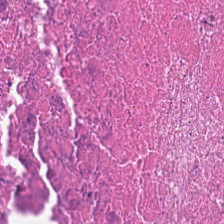Stain: hematoxylin and eosin.
Acquisition: brightfield microscopy.
Preparation: formalin-fixed paraffin-embedded section.
Tissue type: cellular debris.
